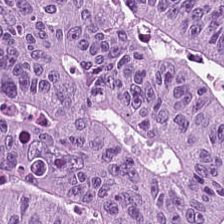H&E.
Tissue: colorectal adenocarcinoma epithelium.
